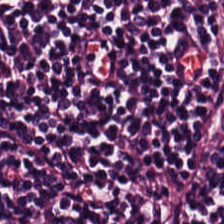Histology — lymphocytic infiltrate.
